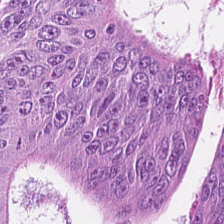20× equivalent magnification · hematoxylin-and-eosin stained section — {"tissue_type": "tumor epithelium"}
